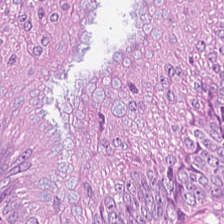Formalin-fixed paraffin-embedded section · H&E stain.
Q: What is shown here?
A: This is malignant epithelium.
